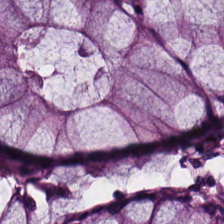H&E stain.
Q: What is shown here?
A: This is benign colonic mucosa.
